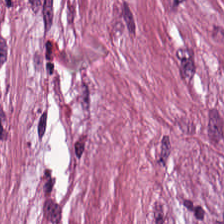H&E · brightfield.
Tissue — tumor stroma.
